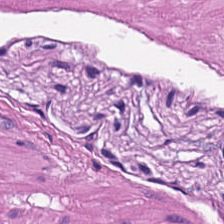Finding — muscularis.
